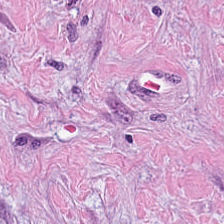H&E. Q: Classify this patch.
A: This is cancer-associated stroma.
